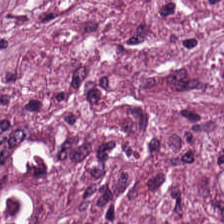H&E-stained tissue section; FFPE tissue section — Tissue — tumor stroma.
